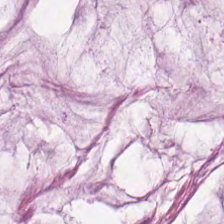Stain: H&E stain.
Tissue type: extracellular mucin.
